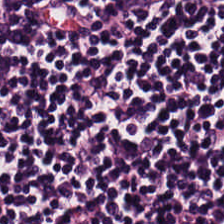H&E — lymphocytes.
